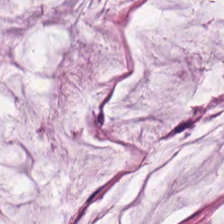Hematoxylin and eosin.
Showing mucin.
